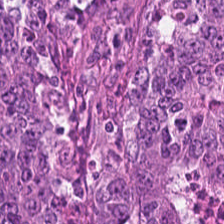Formalin-fixed paraffin-embedded section; 224×224 px tile; H&E — Tissue class = adenocarcinoma.
